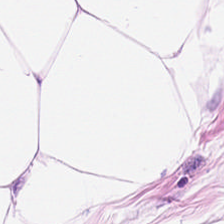H&E. Classification = adipose tissue.
